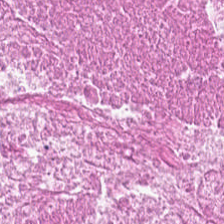H&E-stained tissue section — The tissue type is debris.
